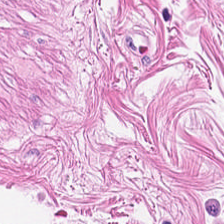H&E — The tissue here is muscularis.
